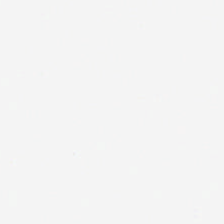H&E; brightfield; 0.5 µm/px. Impression — no tissue.
